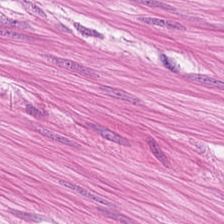H&E; 20× equivalent magnification.
Predominant tissue — muscularis.
